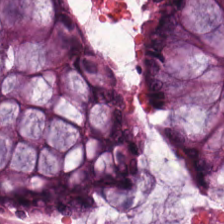H&E patch showing non-neoplastic colon mucosa.
